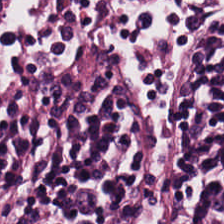H&E. {"tissue_type": "lymphocytes"}
